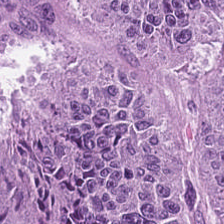FFPE tissue section · H&E-stained tissue section. Tissue = colorectal adenocarcinoma epithelium.
